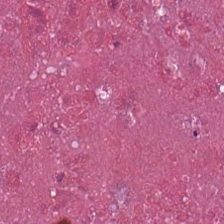Hematoxylin-and-eosin stained section · brightfield microscopy. Q: Identify the tissue.
A: It is cellular debris.
